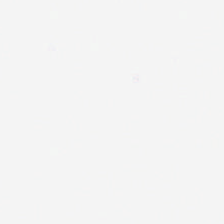Stain: H&E stain.
Field content: empty background.
